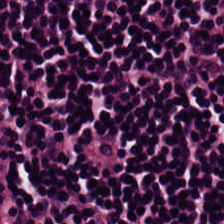Hematoxylin-and-eosin stained section; 0.5 µm per pixel; 224×224 px patch.
Q: What tissue type is shown here?
A: The field shows lymphoid infiltrate.
